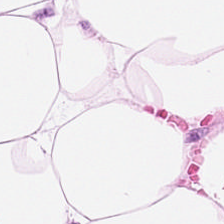This field is adipocytes.
